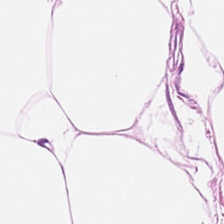Hematoxylin-and-eosin stained section. This patch shows adipose.
